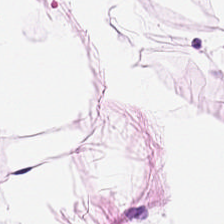Brightfield microscopy · hematoxylin-and-eosin stained section · formalin-fixed paraffin-embedded section — The predominant tissue is adipocytes.
